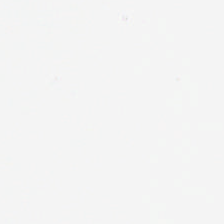Stain: H&E.
Classification: background (no tissue).
